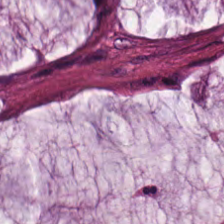Stain: hematoxylin and eosin.
Preparation: formalin-fixed paraffin-embedded section.
Predominant tissue: extracellular mucin.
